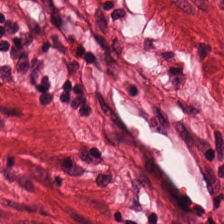Q: What is shown in this field?
A: It is muscularis.
